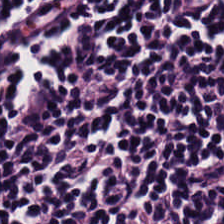H&E-stained tissue section. 224×224 px tile — This patch shows lymphocytic infiltrate.
